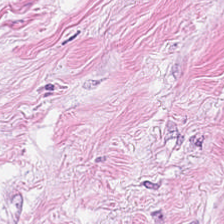Stain: hematoxylin-and-eosin stained section.
Tissue type: desmoplastic stroma.
